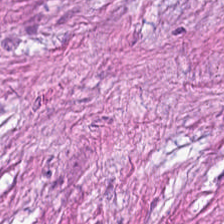H&E · 0.5 µm/px.
Finding → desmoplastic stroma.
